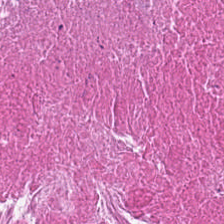H&E. Q: Classify this patch.
A: It is cellular debris.
